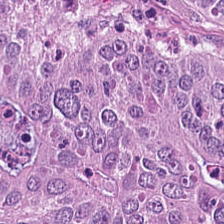H&E-stained tissue section showing malignant epithelium.
